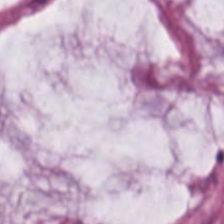H&E — Q: What is shown in this field?
A: The field shows mucus.
